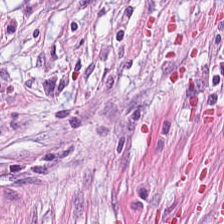Hematoxylin and eosin. Tissue type = cancer-associated stroma.
